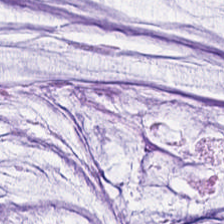H&E.
The tissue here is mucus.
